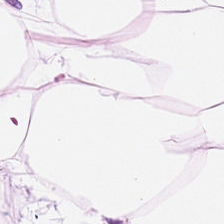H&E-stained tissue section showing adipocytes.
